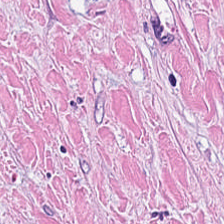Stain: hematoxylin-and-eosin stained section.
Tile size: 224×224 px tile.
Tissue class: cancer-associated stroma.
